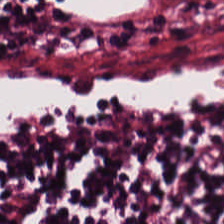H&E stain; FFPE; whole-slide-image patch — This field is lymphocytes.
